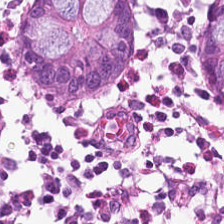Hematoxylin and eosin. Whole-slide-image patch. Formalin-fixed paraffin-embedded section. Non-neoplastic colon mucosa.
